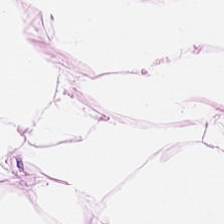This field is adipose tissue.
